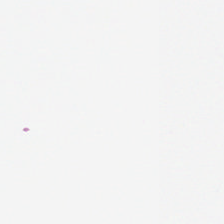Hematoxylin and eosin. Background — no tissue in this field.
